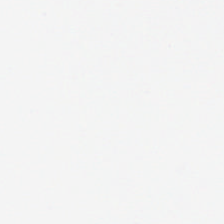H&E-stained tissue section; WSI patch. Background (no tissue).
